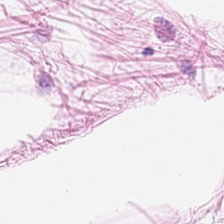224×224 pixel tile; hematoxylin-and-eosin stained section; brightfield microscopy — Adipocytes.
